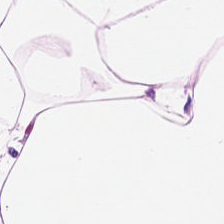Hematoxylin-and-eosin stained section.
The tissue class is adipose.
